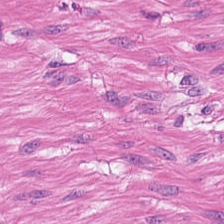Hematoxylin-and-eosin stained section — Predominant tissue = smooth muscle.
